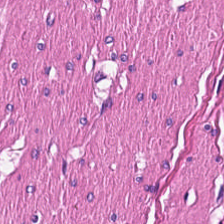224×224 px tile · formalin-fixed paraffin-embedded section · hematoxylin-and-eosin stained section. Tissue type — muscularis.
